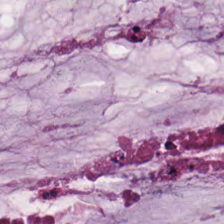Stain: H&E-stained tissue section.
Predominant tissue: mucin.
